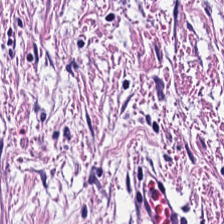H&E stain — Q: What tissue type is shown here?
A: It is desmoplastic stroma.
